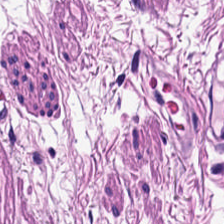H&E stain — {"tissue_type": "smooth muscle"}
